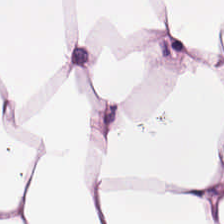Stain: hematoxylin and eosin.
Tissue: adipose.
